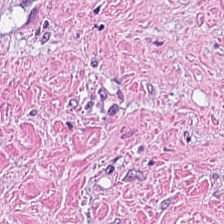Hematoxylin-and-eosin stained section; brightfield; 0.5 µm/px.
Finding → tumor stroma.
